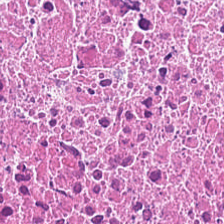Stain: H&E stain.
Tissue: cellular debris.
